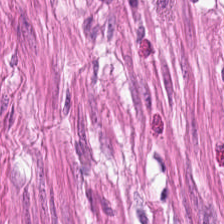Stain: H&E.
Predominant tissue: muscularis.
